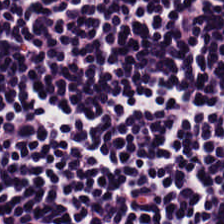Histology → lymphocytes.
